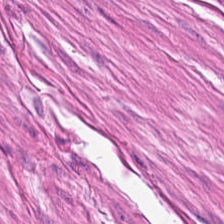Stain: hematoxylin and eosin.
Resolution: 0.5 microns per pixel.
Acquisition: brightfield.
Tissue type: smooth muscle.
